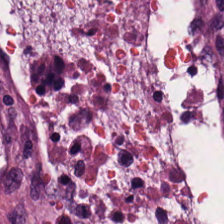Stain: H&E stain.
Tissue: tumor-associated stroma.
